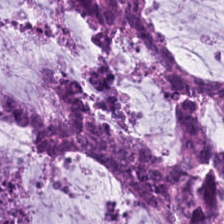Hematoxylin and eosin. 224×224 pixel tile. Mucin.
